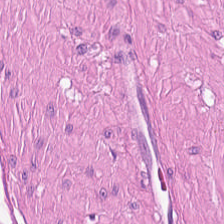0.5 µm per pixel; H&E stain. Tissue — smooth-muscle tissue.
